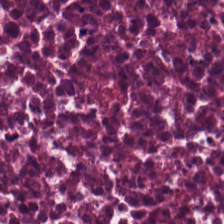224×224 px tile. Hematoxylin and eosin.
The predominant tissue is necrotic debris.
